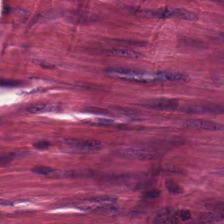224×224 px tile; H&E stain. Impression — tumor-associated stroma.
